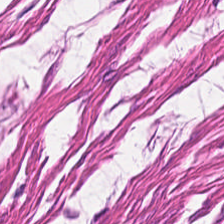Hematoxylin and eosin. Predominant tissue = muscularis.
